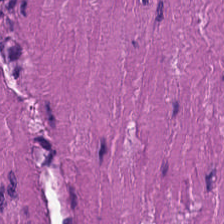Hematoxylin-and-eosin stained section.
This patch shows smooth-muscle tissue.
